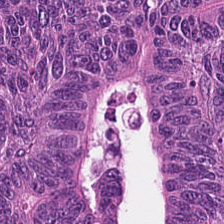Hematoxylin and eosin — Tissue class: colorectal adenocarcinoma.
